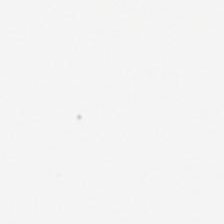Hematoxylin-and-eosin stained section.
Empty field — background.
